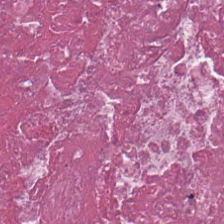H&E patch showing cellular debris.
